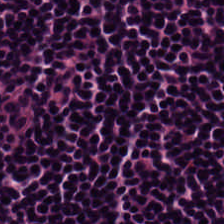H&E-stained tissue section. 0.5 µm per pixel. Histology — lymphocytic infiltrate.
